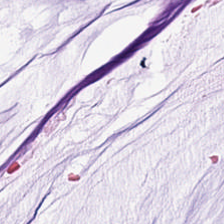Stain: H&E stain.
Predominant tissue: mucin.
